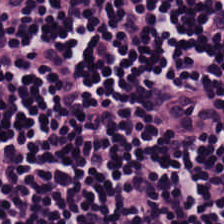Q: What does this patch show?
A: It is lymphoid infiltrate.
